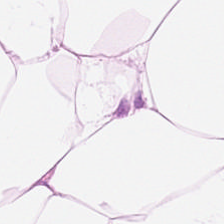Tissue class = adipose.
